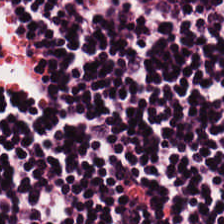H&E stain. Brightfield microscopy. This field is lymphocyte aggregate.
